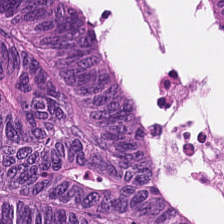Stain: H&E stain.
Acquisition: brightfield.
Tissue: adenocarcinoma.
